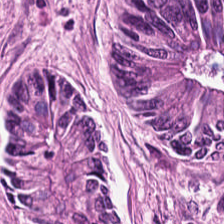H&E. Finding → colorectal adenocarcinoma.
